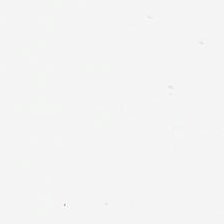Q: Classify this patch.
A: It is background (no tissue).
